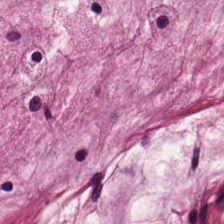Hematoxylin and eosin. Classification — mucin.
